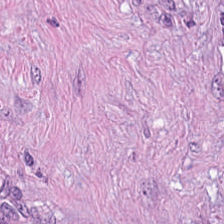0.5 µm per pixel; hematoxylin and eosin. The predominant tissue is desmoplastic stroma.
